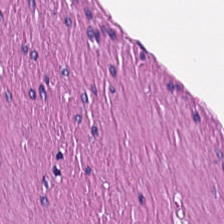Q: Classify this patch.
A: It is muscularis.
